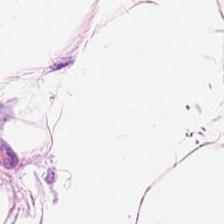{"tissue_type": "adipose tissue"}
